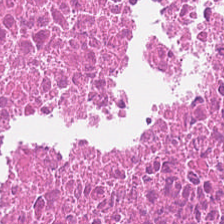Stain: hematoxylin-and-eosin stained section.
Tissue type: necrotic debris.
